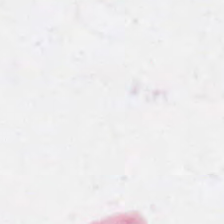Classification — no tissue.
